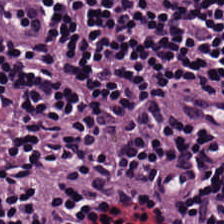FFPE; H&E stain.
Q: What tissue type is shown here?
A: This is lymphoid infiltrate.
